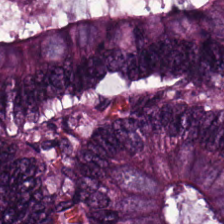Stain: hematoxylin and eosin.
Classification: malignant epithelium.
